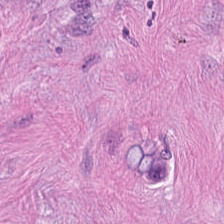H&E stain — Impression → tumor stroma.
